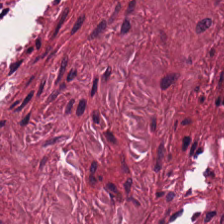Hematoxylin-and-eosin stained section. Q: What is the predominant tissue type?
A: Tumor-associated stroma.
